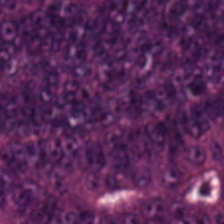Q: Identify the tissue.
A: The field shows tumor epithelium.
